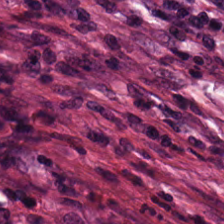Stain: H&E-stained tissue section.
Tissue type: tumor-associated stroma.
